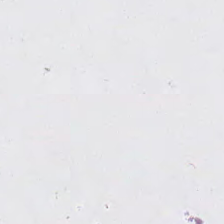FFPE · hematoxylin-and-eosin stained section.
Histology → empty background.
